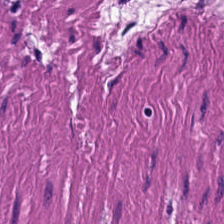Stain: hematoxylin and eosin.
Tissue class: smooth muscle.
